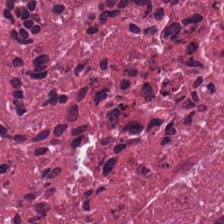H&E. WSI patch. Q: Classify this patch.
A: The field shows cellular debris.
